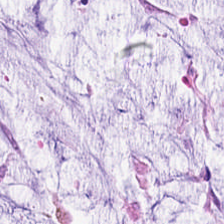H&E-stained tissue section.
Histology — mucin.
